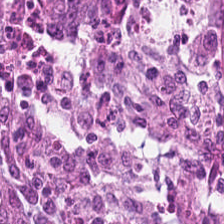0.5 microns per pixel · H&E-stained tissue section · 224×224 px patch.
This field is tumor epithelium.
